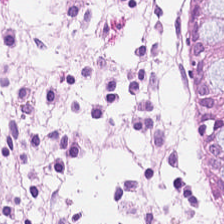Hematoxylin-and-eosin stained section. This patch shows normal colon mucosa.
